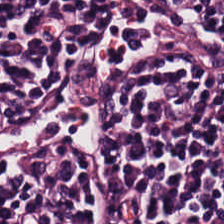Tissue class: lymphocytic infiltrate.
